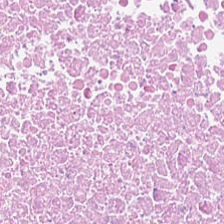Hematoxylin and eosin. Tissue type: necrotic debris.
